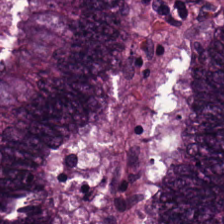H&E. The classification is adenocarcinoma.
